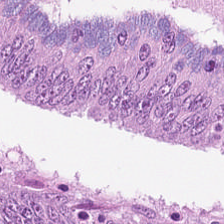Stain: H&E-stained tissue section.
Resolution: 0.5 microns per pixel.
Classification: malignant epithelium.
